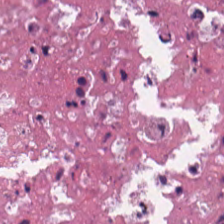Whole-slide-image patch · hematoxylin-and-eosin stained section.
Tissue class: necrotic debris.
